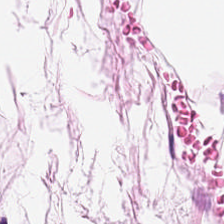H&E.
Fat tissue.
